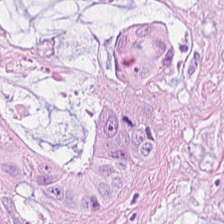The predominant tissue is malignant epithelium.
